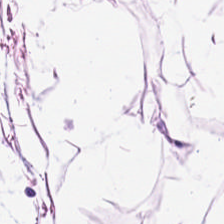The classification is adipocytes.
